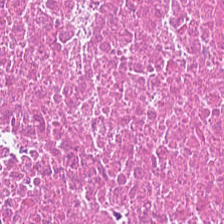H&E · 224×224 px patch. Cellular debris.
